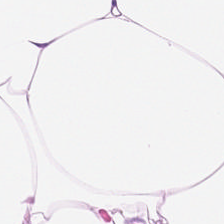0.5 µm/px. 224×224 pixel tile. Hematoxylin and eosin. This field is adipose tissue.
